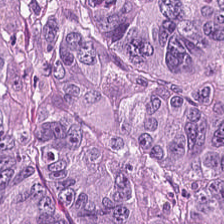H&E stain; FFPE tissue section. Tissue = tumor epithelium.
